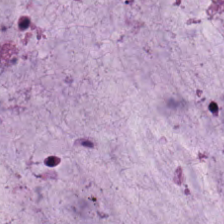Hematoxylin and eosin.
Q: What type of tissue is this?
A: It is mucus.
